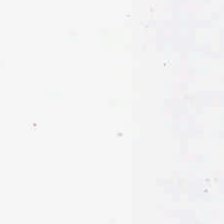Stain: H&E stain.
Acquisition: WSI patch.
Resolution: 0.5 µm per pixel.
Content: no tissue.
